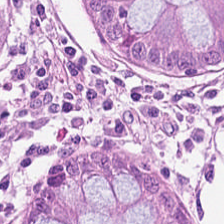H&E-stained tissue section.
{"tissue_type": "normal colonic mucosa"}
